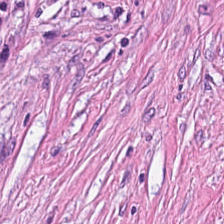Stain: H&E stain.
Predominant tissue: tumor stroma.
